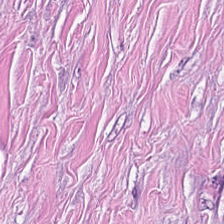Formalin-fixed paraffin-embedded section; hematoxylin and eosin.
{"tissue_type": "tumor-associated stroma"}
